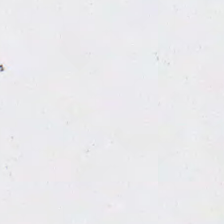H&E-stained tissue section. Background — no tissue in this field.
